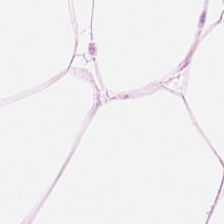224×224 pixel tile; formalin-fixed paraffin-embedded section; H&E-stained tissue section.
This field is adipocytes.
